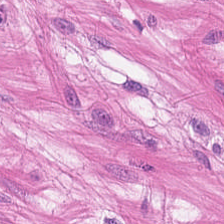224×224 px patch; FFPE; hematoxylin and eosin.
This patch shows smooth-muscle tissue.
